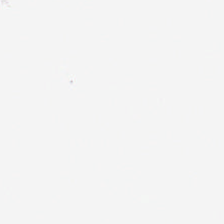H&E. The field content is empty background.
